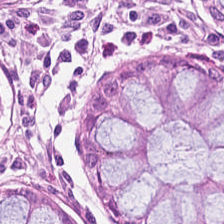Hematoxylin and eosin. 20× equivalent magnification — Q: What does this patch show?
A: Normal colonic mucosa.
